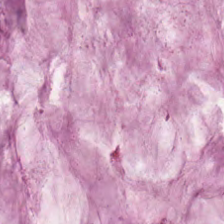Tissue class — mucin.
